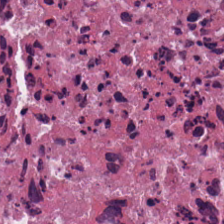Stain: hematoxylin-and-eosin stained section.
Classification: debris.
